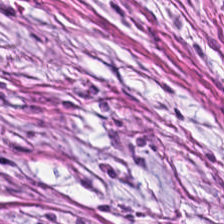H&E-stained tissue section.
Histology → desmoplastic stroma.
